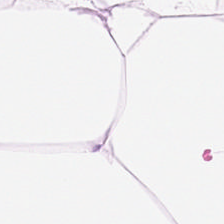20× equivalent magnification · H&E stain · 224×224 px patch. Predominantly adipocytes.
